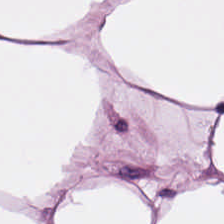0.5 µm/px · 224×224 px tile · H&E.
Q: What is the predominant tissue type?
A: This is adipose tissue.
